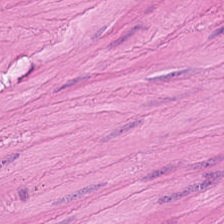H&E stain; 224×224 pixel tile. Predominant tissue — smooth-muscle tissue.
